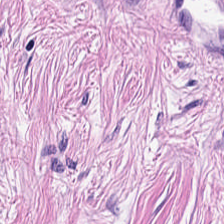Whole-slide-image patch; 224×224 px patch; hematoxylin-and-eosin stained section.
Predominantly tumor-associated stroma.
